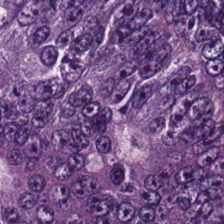Brightfield · hematoxylin and eosin.
Q: What tissue is shown?
A: The field shows tumor epithelium.
